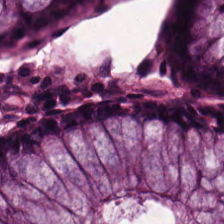Stain: H&E stain.
Classification: non-neoplastic colon mucosa.
